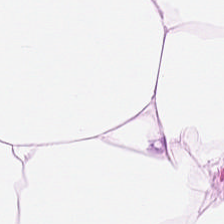Stain: H&E.
Classification: adipose.
